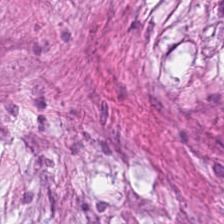H&E patch showing cancer-associated stroma.
